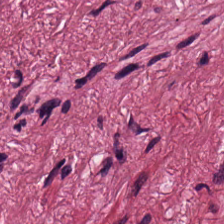The predominant tissue is desmoplastic stroma.
